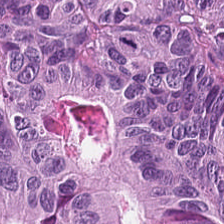Stain: H&E.
Tissue type: tumor epithelium.
